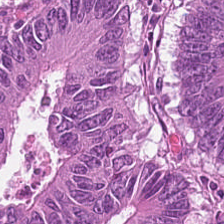Hematoxylin-and-eosin stained section — {"tissue_type": "colorectal adenocarcinoma epithelium"}
